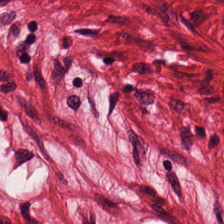224×224 pixel tile; hematoxylin-and-eosin stained section — The classification is smooth muscle.
